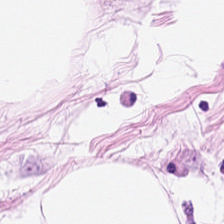Classification: adipose tissue.
